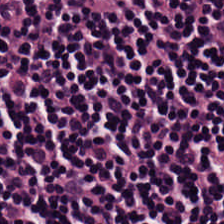0.5 µm/px · FFPE · hematoxylin-and-eosin stained section — Lymphocytic infiltrate.
